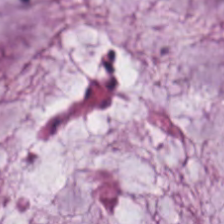Hematoxylin and eosin. Q: What is the predominant tissue type?
A: This is mucin.
